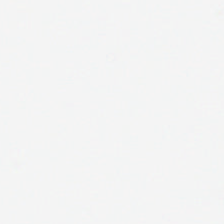Hematoxylin and eosin — Classification = background.
